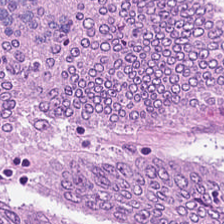Hematoxylin-and-eosin stained section · 224×224 pixel tile. This patch shows malignant epithelium.
